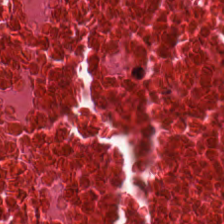Necrotic debris.
